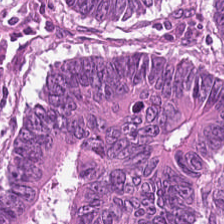H&E-stained tissue section. Tissue type = colorectal adenocarcinoma epithelium.
